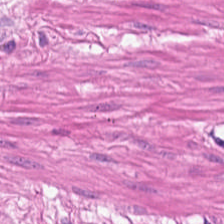H&E stain. Classification: smooth-muscle tissue.
